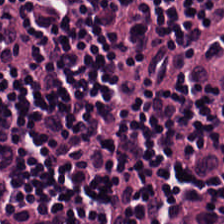Whole-slide-image patch; H&E; FFPE tissue section.
Tissue — lymphocyte aggregate.
